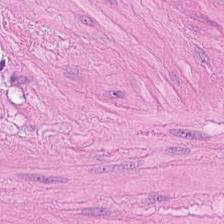224×224 px tile · H&E-stained tissue section.
Muscularis.
